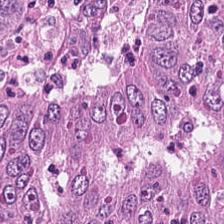The predominant tissue is tumor epithelium.
